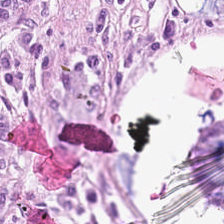Histology — non-neoplastic colon mucosa.
